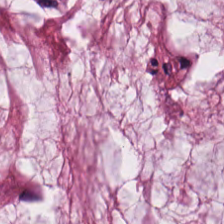224×224 pixel tile. Formalin-fixed paraffin-embedded section. H&E-stained tissue section.
Predominant tissue: mucus.
